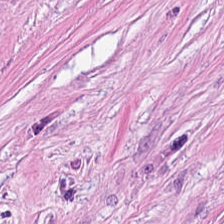Q: What tissue is shown?
A: The field shows tumor-associated stroma.
